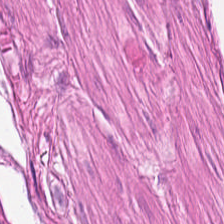H&E. Q: What type of tissue is this?
A: The field shows smooth muscle.
